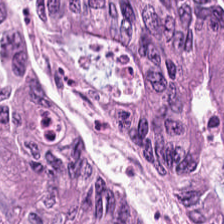Stain: hematoxylin and eosin.
Acquisition: whole-slide-image patch.
Resolution: 0.5 µm per pixel.
Tissue: colorectal adenocarcinoma.
